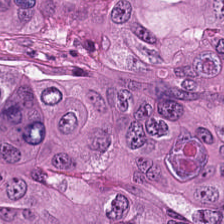H&E. The tissue here is tumor epithelium.
